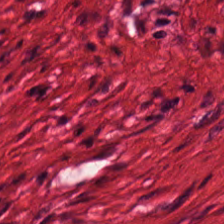FFPE tissue section · 0.5 microns per pixel · H&E stain.
Muscularis.
